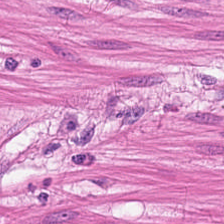H&E stain · 0.5 µm per pixel · WSI patch.
The classification is muscularis.
